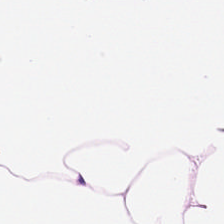H&E stain; 224×224 px tile; 0.5 µm/px. Finding → fat tissue.
